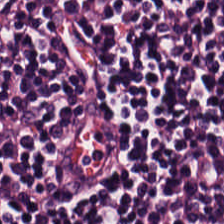H&E-stained tissue section · FFPE. Impression — lymphocyte aggregate.
